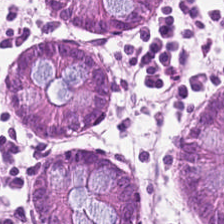Formalin-fixed paraffin-embedded section. H&E-stained tissue section. 0.5 microns per pixel.
Impression — normal colonic mucosa.
